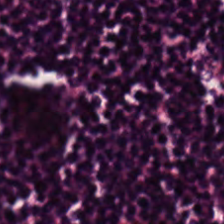224×224 px tile. WSI patch. H&E.
Finding — lymphocytes.
